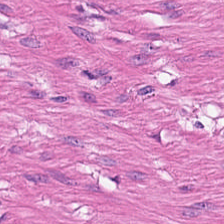Formalin-fixed paraffin-embedded section · H&E stain — Q: What does this patch show?
A: This is muscularis.
